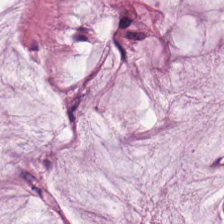H&E-stained tissue section. {"tissue_type": "mucin"}
